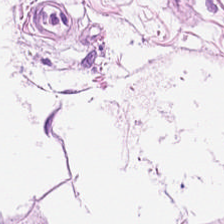Hematoxylin and eosin; 0.5 microns per pixel.
The tissue type is adipose.
